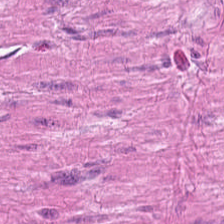224×224 px patch. Hematoxylin-and-eosin stained section — This field is smooth-muscle tissue.
